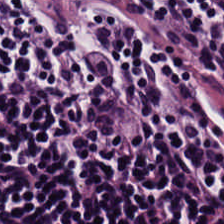H&E stain. Tissue class = lymphoid infiltrate.
